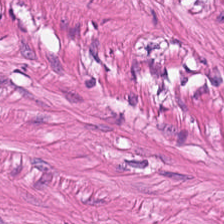Tissue class — muscularis.
